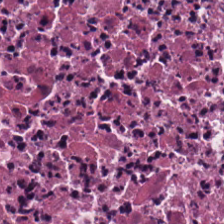Hematoxylin and eosin — Tissue type = necrotic debris.
